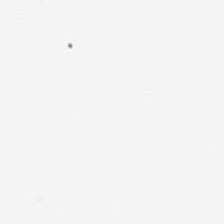224×224 pixel tile. H&E stain. Brightfield microscopy — The classification is no tissue.
